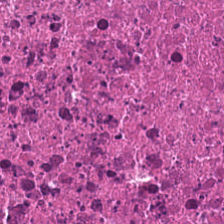H&E · FFPE tissue section. Q: What tissue type is shown here?
A: It is cellular debris.
